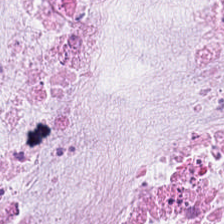20× equivalent magnification; H&E stain; WSI patch. Impression — mucin.
